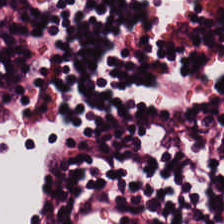H&E. Impression → lymphocytes.
